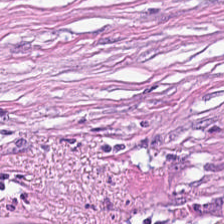Q: What does this patch show?
A: This is tumor-associated stroma.
